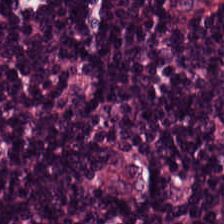H&E stain.
Q: What tissue type is shown here?
A: The field shows lymphocytic infiltrate.
